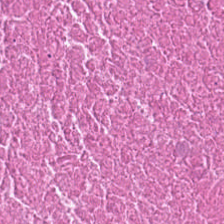H&E — Q: What is the predominant tissue type?
A: It is cellular debris.
